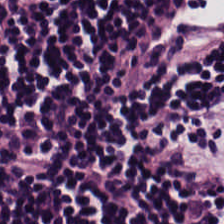Stain: hematoxylin and eosin.
Tissue class: lymphoid infiltrate.
